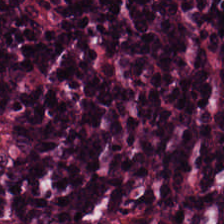FFPE tissue section; H&E-stained tissue section — Tissue type: lymphocytes.
